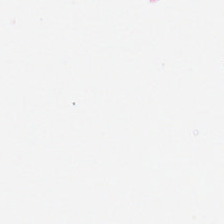20× equivalent magnification; hematoxylin-and-eosin stained section.
Histology — background (no tissue).
